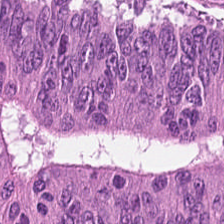Hematoxylin-and-eosin stained section. Impression → colorectal adenocarcinoma.
